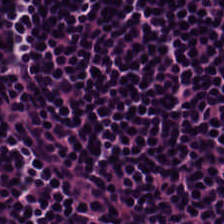20× equivalent magnification. Hematoxylin-and-eosin stained section. Finding → lymphocytes.
